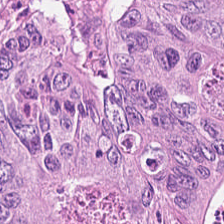Stain: hematoxylin-and-eosin stained section.
Tissue type: colorectal adenocarcinoma epithelium.
